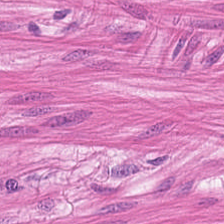0.5 microns per pixel; H&E; whole-slide-image patch — Finding → smooth muscle.
